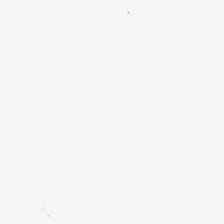H&E stain — Background.
